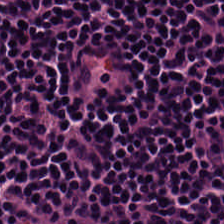H&E stain; 0.5 microns per pixel — {"tissue_type": "lymphocytic infiltrate"}
